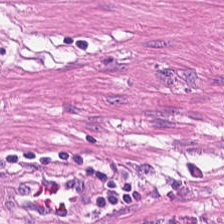H&E. Formalin-fixed paraffin-embedded section. 20× equivalent magnification.
Tissue class: smooth-muscle tissue.
